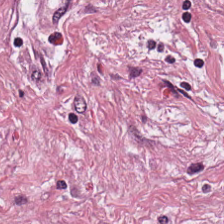Stain: hematoxylin and eosin.
Tissue: tumor stroma.
